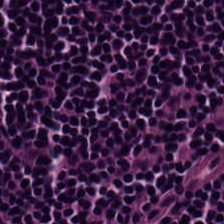H&E. Finding — lymphocytic infiltrate.
